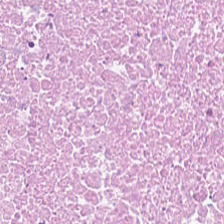Hematoxylin and eosin. 20× equivalent magnification — Impression → necrotic debris.
